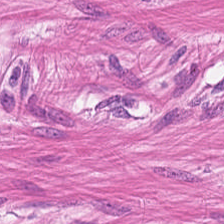FFPE tissue section; 20× equivalent magnification; hematoxylin-and-eosin stained section. The predominant tissue is smooth-muscle tissue.
